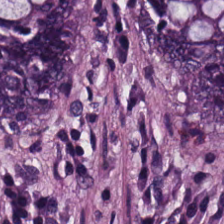Hematoxylin and eosin. The tissue here is normal colonic mucosa.
